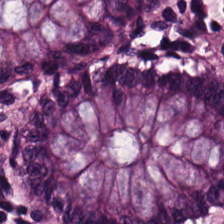Hematoxylin-and-eosin stained section — Q: What tissue type is shown here?
A: It is normal colonic mucosa.
